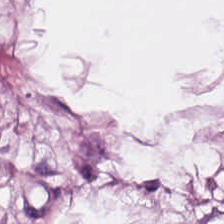Hematoxylin and eosin — The predominant tissue is adipocytes.
